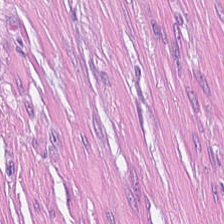Hematoxylin-and-eosin stained section. {"tissue_type": "tumor-associated stroma"}
